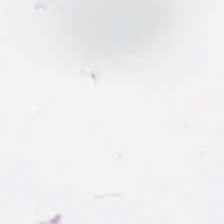Stain: H&E-stained tissue section.
Tile size: 224×224 px tile.
Content: empty background.
